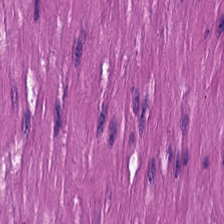Stain: H&E stain.
Preparation: FFPE tissue section.
Tissue class: muscularis.
